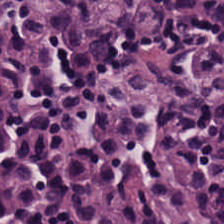Hematoxylin-and-eosin stained section — Q: What tissue is shown?
A: Lymphocytic infiltrate.
